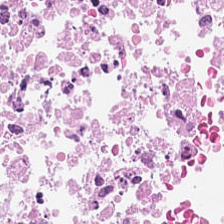Brightfield. H&E stain. Formalin-fixed paraffin-embedded section.
This field is cellular debris.
